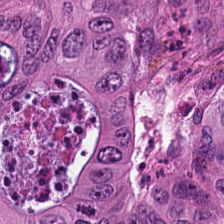Finding → malignant epithelium.
